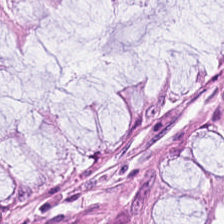0.5 microns per pixel; H&E — The predominant tissue is normal colon mucosa.
